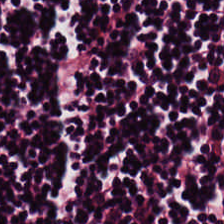224×224 pixel tile · H&E-stained tissue section.
Classification = lymphocytic infiltrate.
